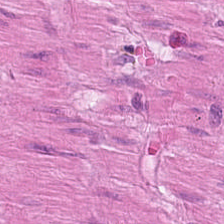Hematoxylin-and-eosin stained section.
Q: What tissue type is shown here?
A: The field shows smooth-muscle tissue.
